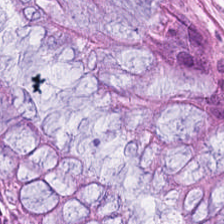Stain: H&E-stained tissue section.
Preparation: FFPE tissue section.
Classification: benign colonic mucosa.
